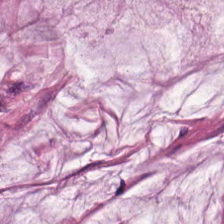The predominant tissue is extracellular mucin.
